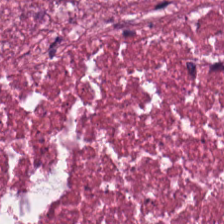H&E — Necrotic debris.
